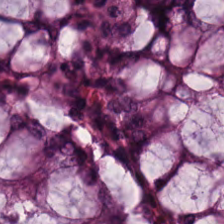H&E — The tissue is non-neoplastic colon mucosa.
